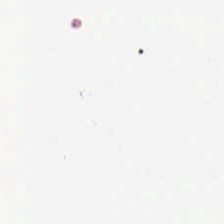224×224 px tile; H&E; WSI patch. This field is background (no tissue).
